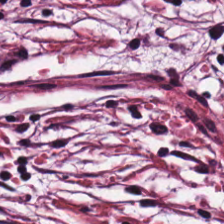WSI patch · H&E stain · FFPE tissue section. Impression — desmoplastic stroma.
